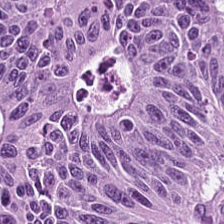H&E. Showing colorectal adenocarcinoma epithelium.
